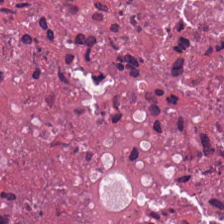H&E — {"tissue_type": "debris"}
